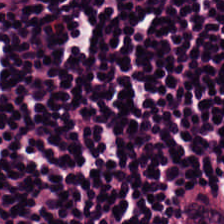H&E. Brightfield — Predominantly lymphocyte aggregate.
